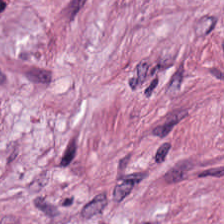{"tissue_type": "tumor-associated stroma"}
